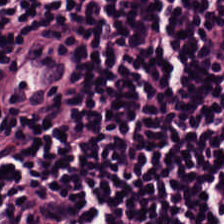Predominant tissue — lymphoid infiltrate.
